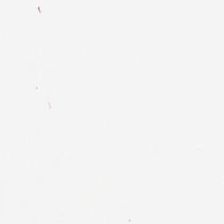Hematoxylin and eosin; 0.5 µm per pixel.
Q: What does this patch show?
A: The field shows background.
